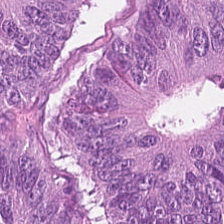Hematoxylin-and-eosin stained section; brightfield.
{"tissue_type": "tumor epithelium"}
